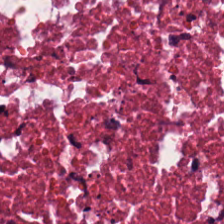Hematoxylin and eosin.
Classification — cellular debris.
